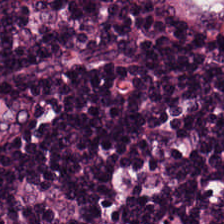0.5 microns per pixel. H&E-stained tissue section. Classification: lymphocytic infiltrate.
